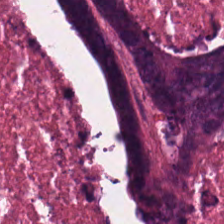H&E-stained tissue section.
The tissue here is cellular debris.
